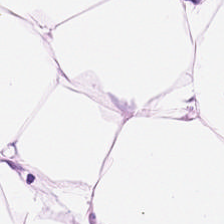H&E; 224×224 pixel tile.
The tissue type is adipose tissue.
